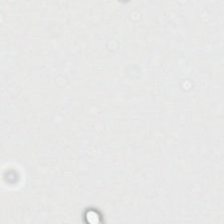FFPE. Hematoxylin and eosin. 224×224 px patch — Q: What is shown here?
A: This is background (no tissue).
